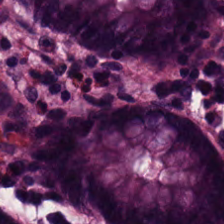H&E-stained tissue section — Finding → normal colon mucosa.
